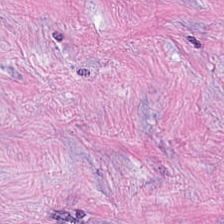Q: What does this patch show?
A: This is tumor stroma.
